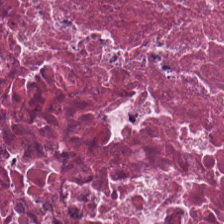H&E patch showing necrotic debris.
